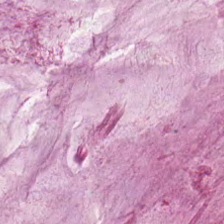Tissue type — extracellular mucin.
